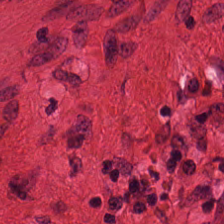Tissue class = smooth-muscle tissue.
